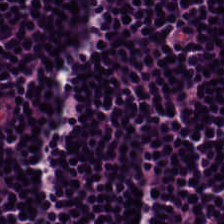H&E-stained tissue section · FFPE tissue section. Tissue type — lymphocyte aggregate.
